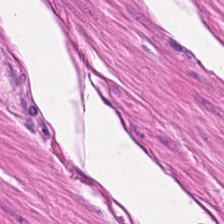H&E stain.
Showing muscularis.
